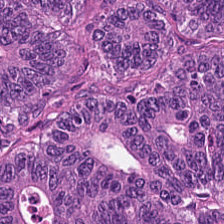Hematoxylin-and-eosin stained section; FFPE; 0.5 µm/px. Impression — adenocarcinoma.
